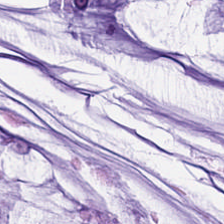Hematoxylin-and-eosin stained section — Tissue class: mucus.
